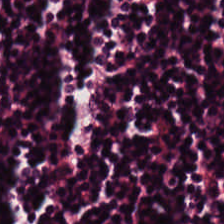Hematoxylin and eosin.
Tissue type = lymphocyte aggregate.
